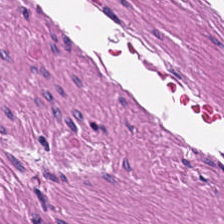Brightfield · hematoxylin-and-eosin stained section.
Tissue type — smooth-muscle tissue.
